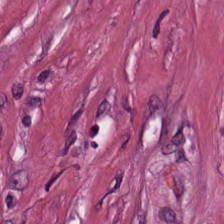Impression → tumor-associated stroma.
